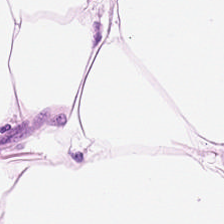Formalin-fixed paraffin-embedded section. H&E — Classification: adipocytes.
